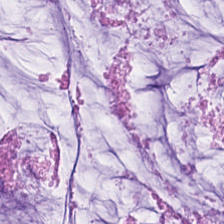H&E patch showing extracellular mucin.
